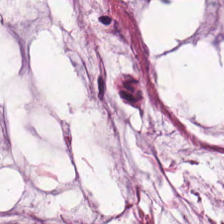0.5 µm/px · formalin-fixed paraffin-embedded section · hematoxylin and eosin. Histology — mucus.
